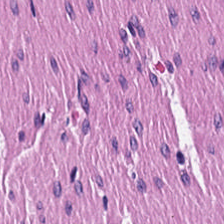Brightfield microscopy. H&E stain — Q: Identify the tissue.
A: This is smooth-muscle tissue.
